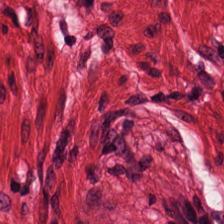H&E stain — Q: Identify the tissue.
A: Smooth muscle.
